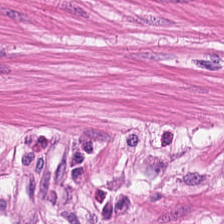Hematoxylin and eosin. Showing smooth muscle.
